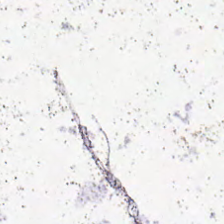H&E stain — Background — no tissue in this field.
